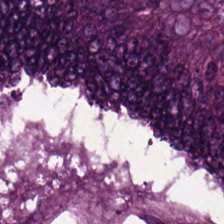{"tissue_type": "malignant epithelium"}
